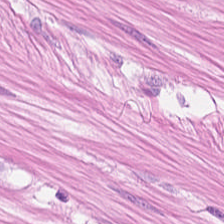Hematoxylin-and-eosin stained section. Tissue type — muscularis.
